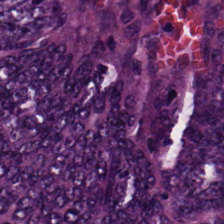224×224 px patch; H&E; whole-slide-image patch. The tissue class is colorectal adenocarcinoma epithelium.
